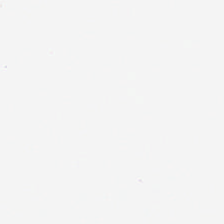H&E-stained tissue section.
Empty field — background (no tissue).
